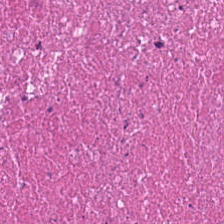Finding — debris.
